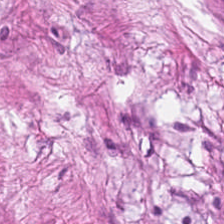H&E. This field is tumor stroma.
